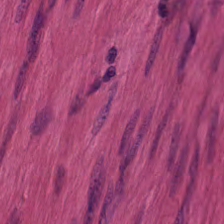Histology → smooth-muscle tissue.
